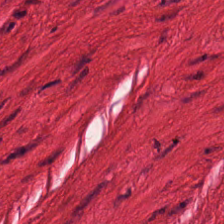Hematoxylin and eosin; brightfield microscopy.
Smooth-muscle tissue.
